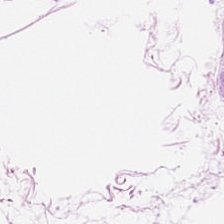Stain: H&E-stained tissue section.
Preparation: FFPE tissue section.
Tissue class: adipose.
